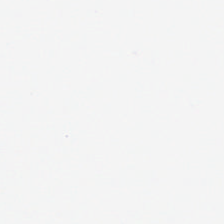Hematoxylin-and-eosin stained section — Background.
